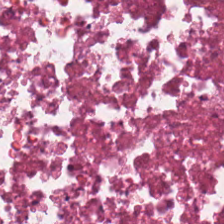Stain: H&E-stained tissue section.
Predominant tissue: necrotic debris.
